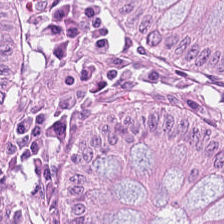0.5 µm per pixel; brightfield; H&E.
Showing benign colonic mucosa.
